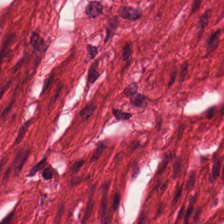Stain: H&E stain.
Classification: muscularis.
